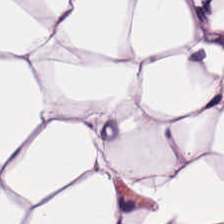H&E-stained section; the field shows adipose.
